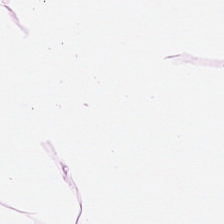Formalin-fixed paraffin-embedded section; H&E stain. Q: What is shown in this field?
A: It is adipose.
